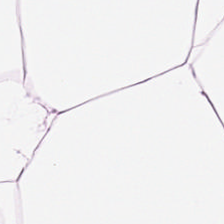Hematoxylin and eosin.
The tissue class is adipocytes.
